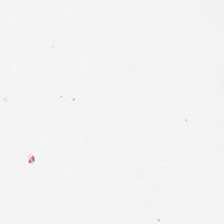H&E stain — Empty field — empty background.
